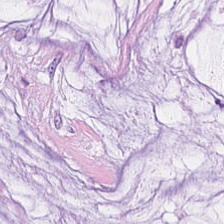H&E stain. Classification: extracellular mucin.
